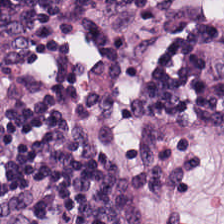FFPE tissue section. H&E stain. Brightfield.
This field is lymphocytes.
